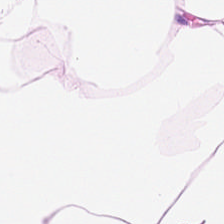224×224 px tile · H&E-stained tissue section.
This patch shows adipose tissue.
